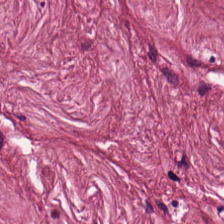H&E stain. 0.5 µm per pixel — Impression — tumor-associated stroma.
